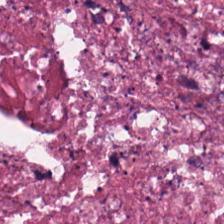H&E; FFPE tissue section.
Tissue: debris.
